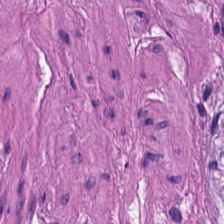H&E-stained tissue section.
Q: What is the predominant tissue type?
A: The field shows smooth muscle.
